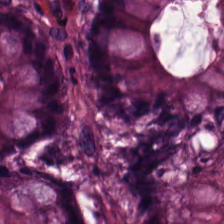Stain: hematoxylin and eosin.
Tissue: non-neoplastic colon mucosa.
